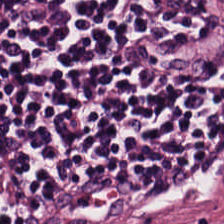H&E-stained tissue section showing lymphocyte aggregate.
